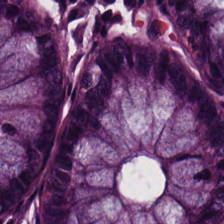Predominant tissue — benign colonic mucosa.
